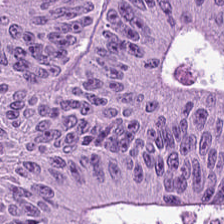20× equivalent magnification · H&E stain. Showing colorectal adenocarcinoma epithelium.
